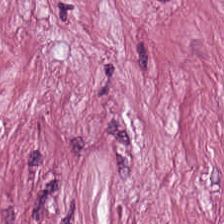Hematoxylin and eosin. The predominant tissue is cancer-associated stroma.
